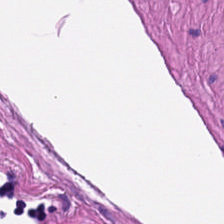H&E-stained tissue section. Tissue type — smooth-muscle tissue.
